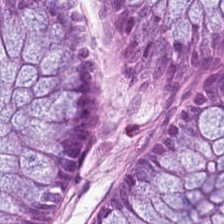Stain: H&E stain.
Tissue: normal colon mucosa.
